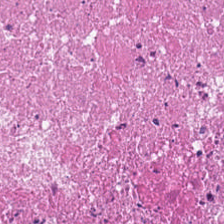Impression — necrotic debris.
